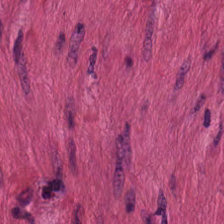H&E stain · 20× equivalent magnification. Predominant tissue — smooth-muscle tissue.
